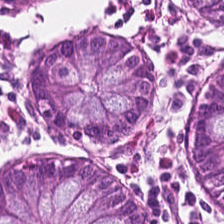Tissue class — non-neoplastic colon mucosa.
